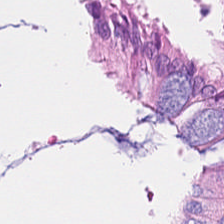Hematoxylin and eosin. Finding — non-neoplastic colon mucosa.
